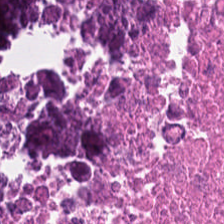Tissue class: necrotic debris.
